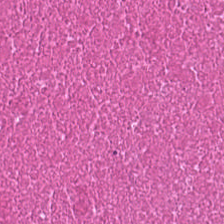Hematoxylin-and-eosin stained section — Predominantly necrotic debris.
